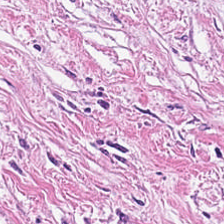Hematoxylin-and-eosin stained section. This field is tumor-associated stroma.
